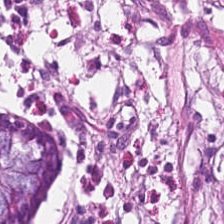The predominant tissue is non-neoplastic colon mucosa.
